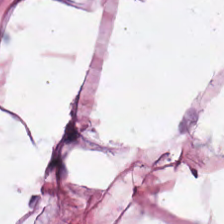0.5 µm per pixel. Hematoxylin-and-eosin stained section. Formalin-fixed paraffin-embedded section — Classification: adipocytes.
